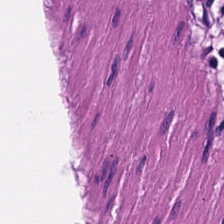Hematoxylin and eosin — The classification is smooth-muscle tissue.
